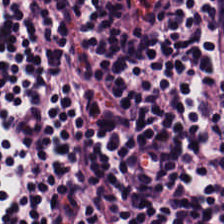{"tissue_type": "lymphocytic infiltrate"}
